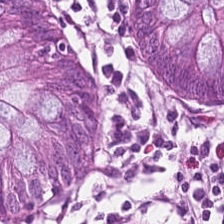H&E stain — The classification is non-neoplastic colon mucosa.
